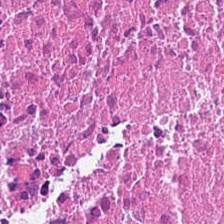224×224 px tile. Hematoxylin-and-eosin stained section — Finding → necrotic debris.
